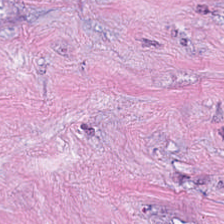224×224 px tile. H&E stain. 0.5 µm/px — Tissue = cancer-associated stroma.
